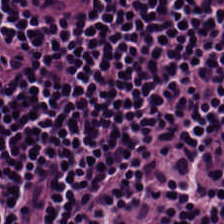H&E stain — This field is lymphocyte aggregate.
